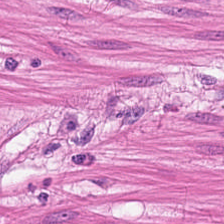224×224 px tile · brightfield microscopy · hematoxylin-and-eosin stained section — Showing smooth-muscle tissue.
